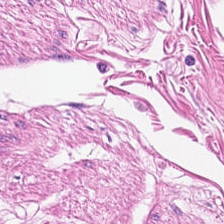Stain: hematoxylin and eosin.
Tissue class: smooth-muscle tissue.
